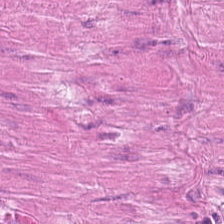Hematoxylin and eosin. Whole-slide-image patch — Histology → smooth-muscle tissue.
